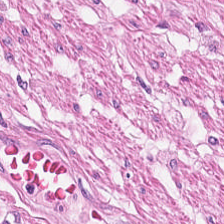WSI patch; 224×224 pixel tile; hematoxylin-and-eosin stained section.
Showing muscularis.
